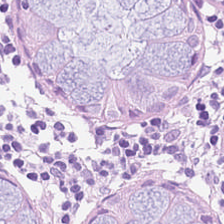H&E-stained tissue section — Tissue = normal colon mucosa.
